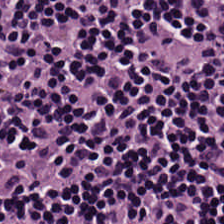0.5 µm per pixel; hematoxylin-and-eosin stained section. Q: Classify this patch.
A: It is lymphocytes.
